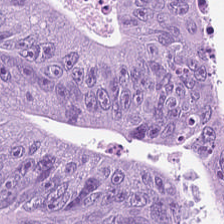Hematoxylin-and-eosin stained section; FFPE tissue section. Classification: colorectal adenocarcinoma epithelium.
